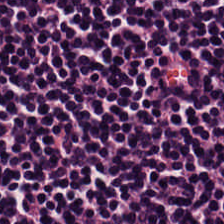H&E · 224×224 px patch.
Showing lymphoid infiltrate.
